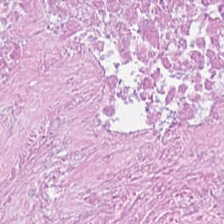Stain: hematoxylin-and-eosin stained section.
Predominant tissue: necrotic debris.
